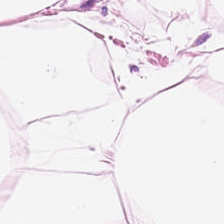H&E stain — Q: Identify the tissue.
A: This is fat tissue.
